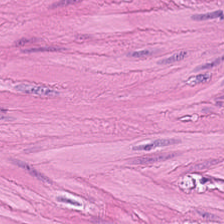Hematoxylin-and-eosin stained section.
The tissue here is muscularis.
